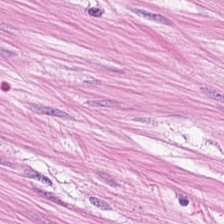The tissue is smooth muscle.
